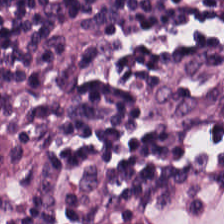Stain: hematoxylin and eosin.
Tile size: 224×224 px patch.
Tissue: lymphocytic infiltrate.
